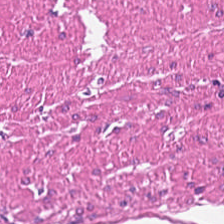Q: Classify this patch.
A: Smooth-muscle tissue.
